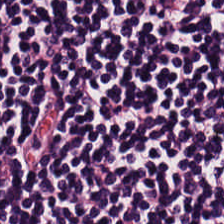Brightfield microscopy. H&E-stained tissue section. The tissue here is lymphoid infiltrate.
